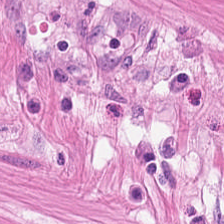The tissue is muscularis.
